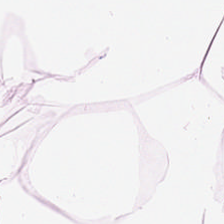Stain: hematoxylin-and-eosin stained section.
Tissue type: adipocytes.
